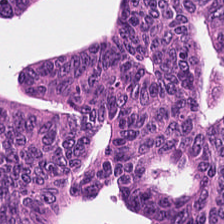WSI patch; H&E-stained tissue section — Q: What is shown here?
A: This is adenocarcinoma.
